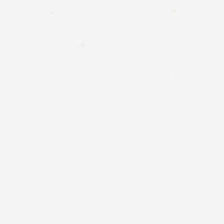H&E stain; whole-slide-image patch; 0.5 µm/px.
No tissue present; background only.
